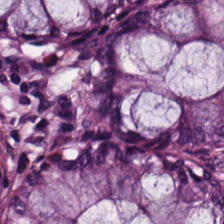Finding → non-neoplastic colon mucosa.
